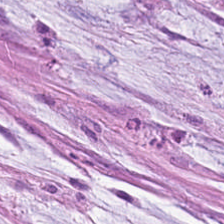Formalin-fixed paraffin-embedded section. H&E-stained tissue section. WSI patch.
This field is extracellular mucin.
